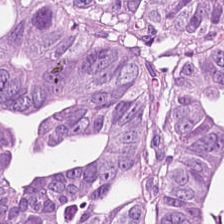H&E stain — This field is colorectal adenocarcinoma.
